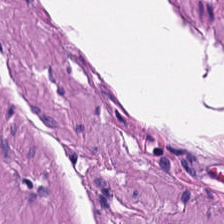Hematoxylin and eosin. Tissue type: muscularis.
